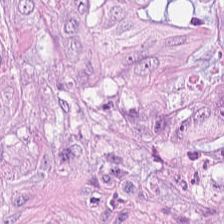Stain: hematoxylin-and-eosin stained section.
Resolution: 20× equivalent magnification.
Predominant tissue: colorectal adenocarcinoma.
